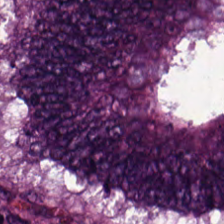0.5 microns per pixel. Hematoxylin-and-eosin stained section. Whole-slide-image patch. Histology — malignant epithelium.
